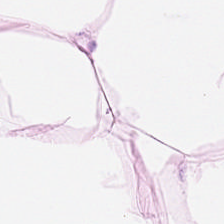Hematoxylin and eosin · 0.5 µm per pixel · FFPE tissue section. This field is adipose.
